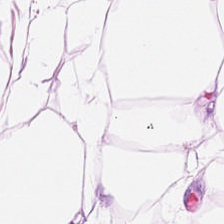H&E stain — This patch shows adipose.
